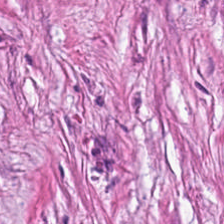Histology → cancer-associated stroma.
